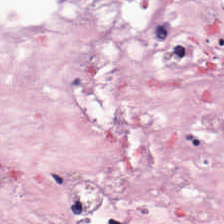H&E. The predominant tissue is cancer-associated stroma.
